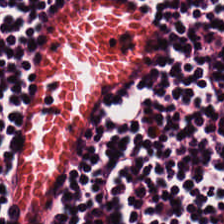H&E stain.
{"tissue_type": "lymphoid infiltrate"}
